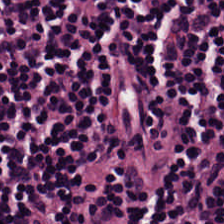FFPE · H&E-stained tissue section · 224×224 pixel tile.
The tissue here is lymphocytic infiltrate.
